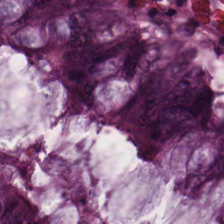Stain: hematoxylin and eosin.
Resolution: 20× equivalent magnification.
Acquisition: whole-slide-image patch.
Tissue class: normal colon mucosa.
